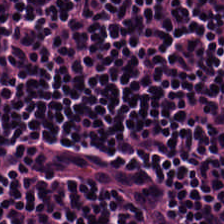H&E — Histology → lymphocyte aggregate.
